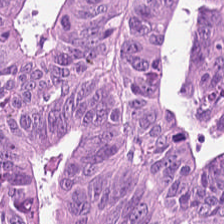Stain: hematoxylin and eosin.
Resolution: 0.5 µm/px.
Tissue class: tumor epithelium.
